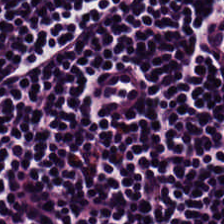Histology → lymphoid infiltrate.
